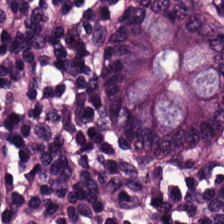Hematoxylin-and-eosin stained section · 224×224 px tile · 0.5 µm per pixel. The tissue is non-neoplastic colon mucosa.
